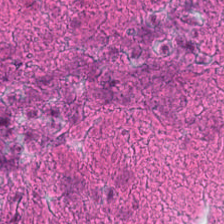Stain: H&E stain.
Tissue type: cellular debris.
